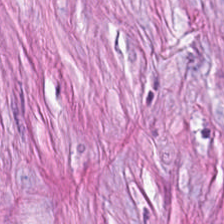Q: What is the predominant tissue type?
A: The field shows cancer-associated stroma.
